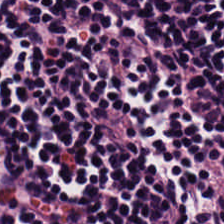H&E stain. The classification is lymphoid infiltrate.
